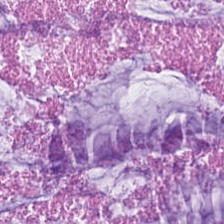224×224 pixel tile · H&E — This patch shows mucus.
